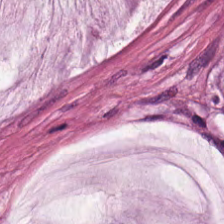Hematoxylin and eosin; 20× equivalent magnification.
The tissue type is mucus.
